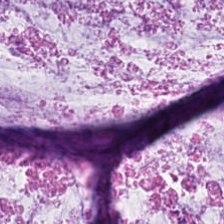H&E stain — Classification — mucus.
